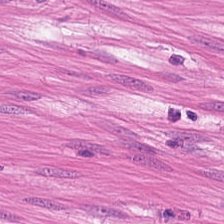Hematoxylin-and-eosin stained section — Classification — muscularis.
